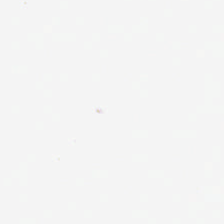Hematoxylin and eosin. Content = background (no tissue).
